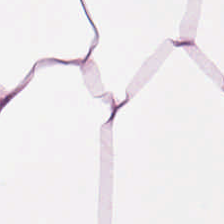H&E; whole-slide-image patch — Predominantly adipose tissue.
